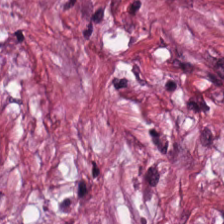H&E. The tissue here is desmoplastic stroma.
